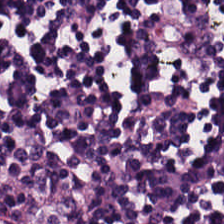20× equivalent magnification. H&E. The tissue type is lymphoid infiltrate.
